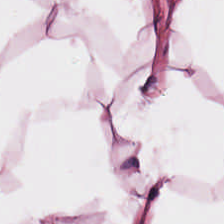Q: What tissue type is shown here?
A: This is adipocytes.
